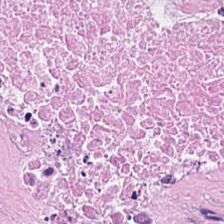H&E. The tissue class is necrotic debris.
